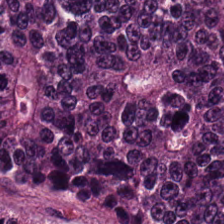Stain: hematoxylin and eosin.
Tissue class: malignant epithelium.
